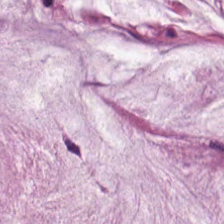Tissue = extracellular mucin.
